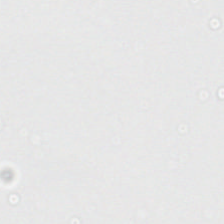Hematoxylin-and-eosin stained section. This field is background (no tissue).
